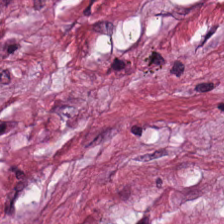Hematoxylin-and-eosin stained section; WSI patch; 0.5 µm per pixel — {"tissue_type": "tumor-associated stroma"}
